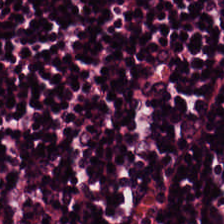224×224 pixel tile; 0.5 microns per pixel; H&E — Q: What type of tissue is this?
A: Lymphocytes.
